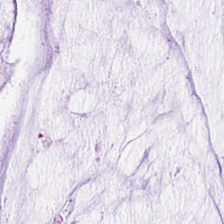H&E-stained tissue section. The predominant tissue is extracellular mucin.
